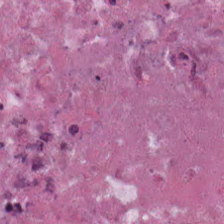Necrotic debris.
